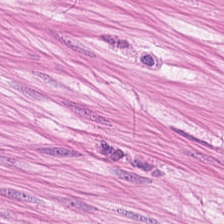H&E stain; 224×224 px tile.
The predominant tissue is smooth-muscle tissue.
